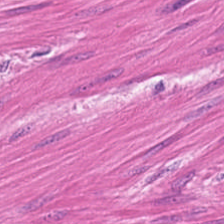H&E stain. This field is smooth-muscle tissue.
